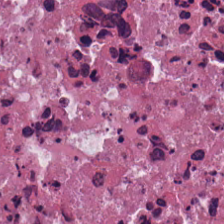Hematoxylin and eosin.
Impression — debris.
